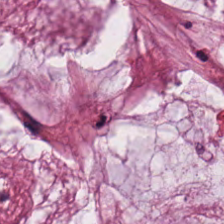Tissue type: mucin.
